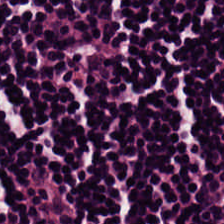Hematoxylin and eosin — Q: What tissue is shown?
A: This is lymphocyte aggregate.
